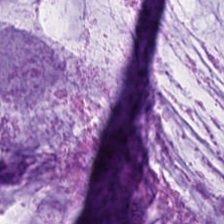Stain: H&E.
Tissue class: extracellular mucin.
